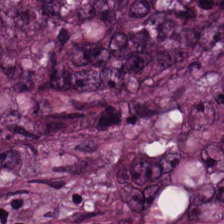H&E.
Tissue — adenocarcinoma.
